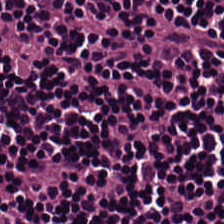Hematoxylin-and-eosin stained section; 20× equivalent magnification; 224×224 px tile. Predominantly lymphocyte aggregate.
